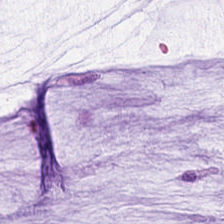Hematoxylin and eosin — The tissue class is extracellular mucin.
